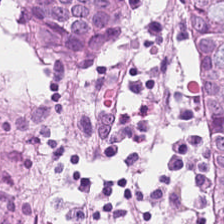Hematoxylin and eosin.
Impression — non-neoplastic colon mucosa.
